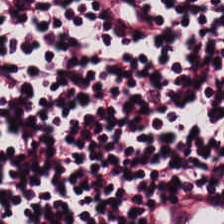H&E. Q: What is shown in this field?
A: It is lymphocytic infiltrate.
